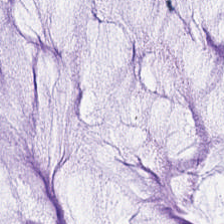H&E-stained tissue section. 0.5 µm/px. 224×224 px patch.
Histology → mucin.
